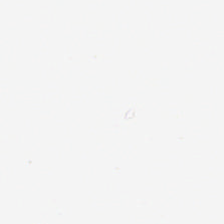FFPE tissue section · hematoxylin-and-eosin stained section — Q: What is shown in this field?
A: This is background (no tissue).
